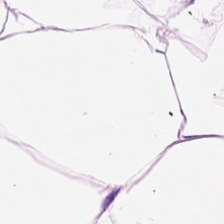20× equivalent magnification. H&E-stained tissue section. Predominantly adipose tissue.
